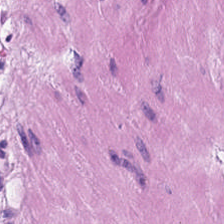H&E; FFPE tissue section; brightfield microscopy.
Q: What is shown in this field?
A: It is muscularis.
